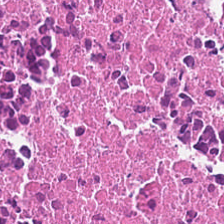H&E-stained tissue section · 0.5 µm per pixel · 224×224 pixel tile — The tissue here is cellular debris.
